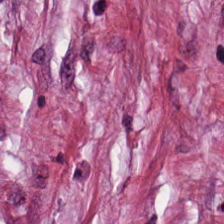Formalin-fixed paraffin-embedded section · H&E-stained tissue section. Tissue type = tumor-associated stroma.
